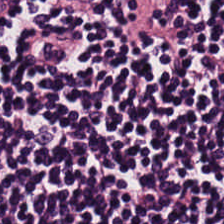WSI patch; H&E-stained tissue section. Q: What does this patch show?
A: Lymphocyte aggregate.
